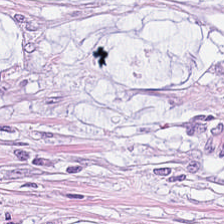Q: What tissue is shown?
A: Mucin.
